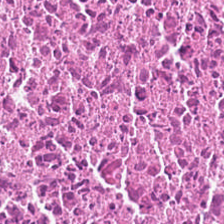0.5 microns per pixel · H&E stain. Predominant tissue = debris.
